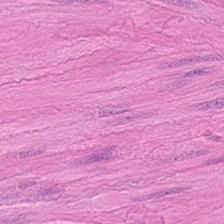H&E · 224×224 px tile — Q: What type of tissue is this?
A: Muscularis.
